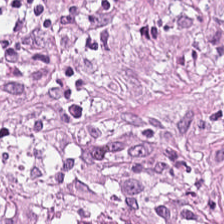H&E-stained tissue section showing tumor stroma.
